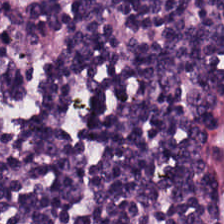Brightfield. H&E stain.
The tissue here is lymphocytic infiltrate.
